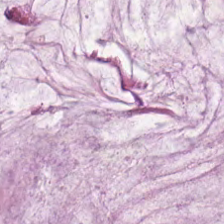H&E-stained tissue section · formalin-fixed paraffin-embedded section.
Q: What is shown here?
A: It is mucin.
